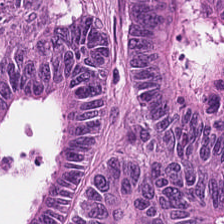224×224 pixel tile. 20× equivalent magnification. H&E — The tissue class is tumor epithelium.
